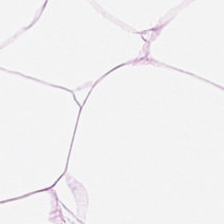Hematoxylin and eosin — This patch shows adipose.
